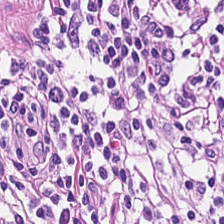224×224 px patch; H&E-stained tissue section.
Predominant tissue = lymphocytic infiltrate.
